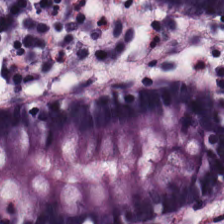H&E; whole-slide-image patch — Q: What is shown here?
A: The field shows benign colonic mucosa.
